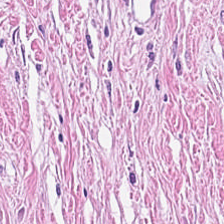Tumor stroma.
